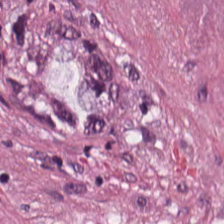Stain: hematoxylin-and-eosin stained section.
Tissue class: tumor stroma.
